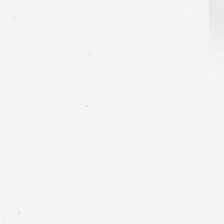Hematoxylin and eosin — Content = empty background.
